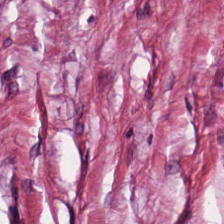H&E-stained tissue section · formalin-fixed paraffin-embedded section — Predominantly tumor stroma.
